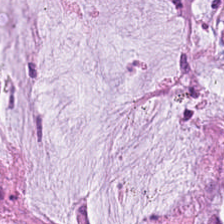Hematoxylin and eosin.
Histology → extracellular mucin.
